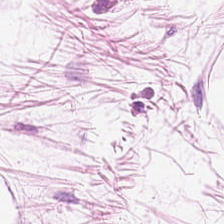Hematoxylin and eosin.
Predominantly adipose.
